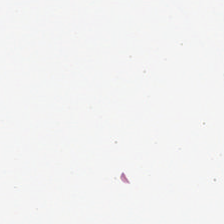Hematoxylin-and-eosin stained section. 0.5 microns per pixel. 224×224 px tile. No tissue.
